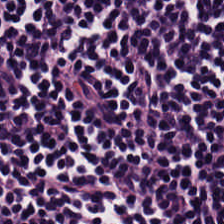H&E. This field is lymphoid infiltrate.
